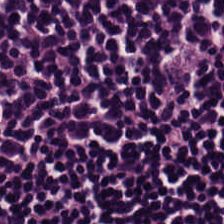H&E.
Finding — lymphocytes.
